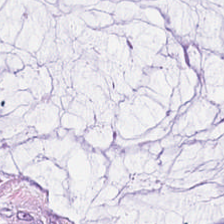Finding — mucin.
